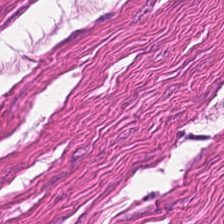Q: What does this patch show?
A: Muscularis.
